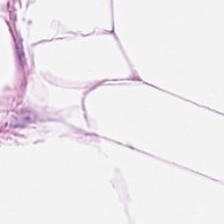H&E-stained tissue section — Q: Classify this patch.
A: It is fat tissue.
